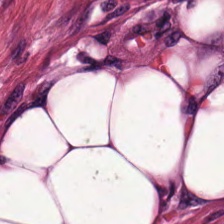H&E-stained tissue section — Tumor-associated stroma.
